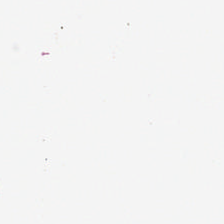H&E stain; formalin-fixed paraffin-embedded section.
Content = background.
